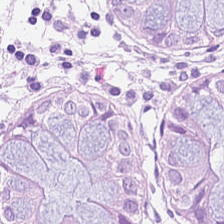224×224 px tile. Hematoxylin-and-eosin stained section — This field is benign colonic mucosa.
